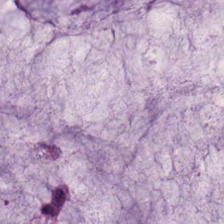Hematoxylin-and-eosin stained section.
Q: Classify this patch.
A: Extracellular mucin.
